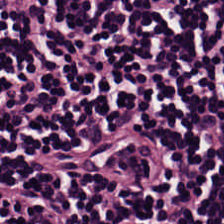Hematoxylin and eosin — Predominant tissue: lymphocytic infiltrate.
